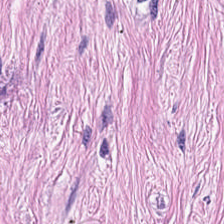WSI patch; FFPE tissue section; H&E-stained tissue section.
Tissue type: desmoplastic stroma.
